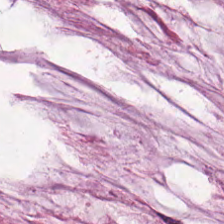H&E stain; 224×224 pixel tile; 0.5 µm per pixel — Finding — extracellular mucin.
